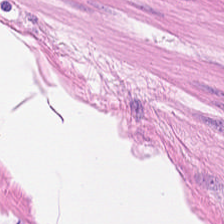H&E stain; 0.5 microns per pixel. Predominantly muscularis.
